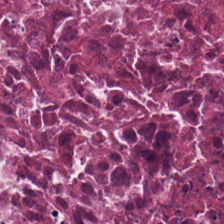H&E-stained tissue section. 224×224 pixel tile. The predominant tissue is necrotic debris.
